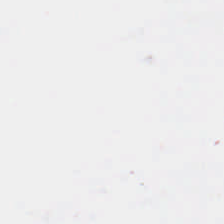Hematoxylin-and-eosin stained section · whole-slide-image patch. Background (no tissue).
